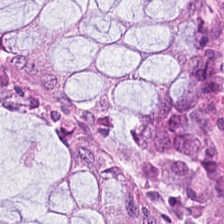H&E; 0.5 µm/px; FFPE — Histology — non-neoplastic colon mucosa.
